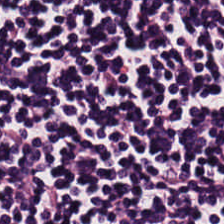Tissue: lymphocytes.
